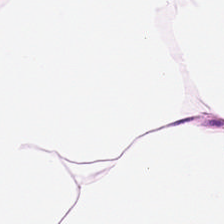Stain: hematoxylin-and-eosin stained section.
Preparation: FFPE tissue section.
Predominant tissue: adipose tissue.
